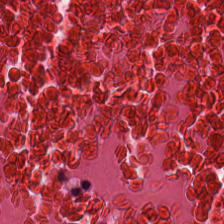Hematoxylin and eosin. Tissue type — debris.
